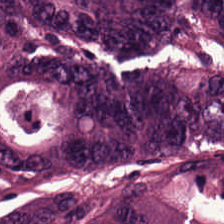Hematoxylin-and-eosin stained section — This field is colorectal adenocarcinoma.
